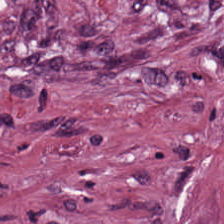Hematoxylin and eosin — Predominantly desmoplastic stroma.
